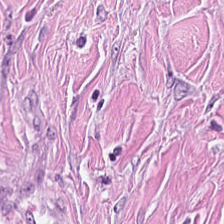224×224 px tile; whole-slide-image patch; H&E-stained tissue section — The predominant tissue is cancer-associated stroma.
